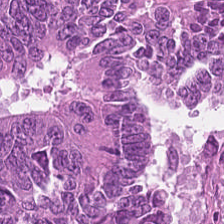H&E stain; whole-slide-image patch.
The predominant tissue is tumor epithelium.
